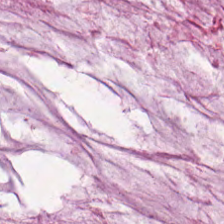Stain: H&E-stained tissue section.
Tile size: 224×224 px patch.
Classification: extracellular mucin.
